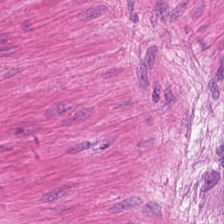Whole-slide-image patch · 20× equivalent magnification · hematoxylin-and-eosin stained section — {"tissue_type": "muscularis"}
